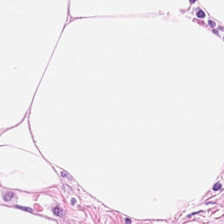H&E.
Classification — adipose.
